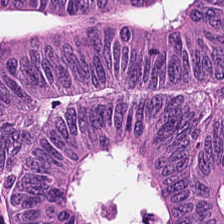H&E · whole-slide-image patch · 0.5 µm/px.
Malignant epithelium.
